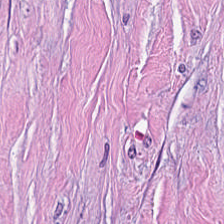Q: What tissue is shown?
A: The field shows tumor-associated stroma.
